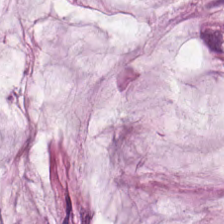224×224 px patch. Hematoxylin and eosin — Q: What does this patch show?
A: Mucus.
